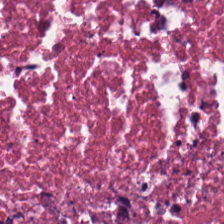H&E-stained tissue section. 20× equivalent magnification. Q: Classify this patch.
A: The field shows necrotic debris.
